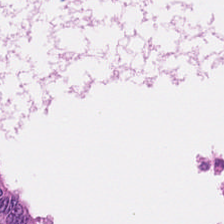Hematoxylin and eosin — Showing colorectal adenocarcinoma.
